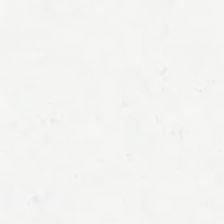Hematoxylin and eosin.
Q: What does this patch show?
A: This is background (no tissue).
